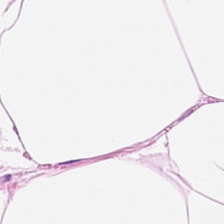Classification = adipocytes.
